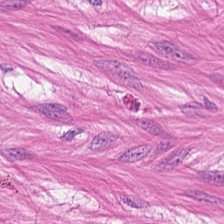H&E stain — {"tissue_type": "muscularis"}
